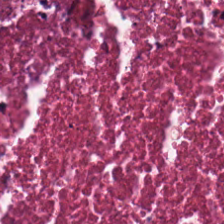Hematoxylin and eosin.
The tissue is necrotic debris.
